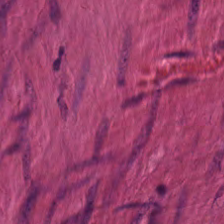Stain: H&E.
Tissue type: smooth muscle.
